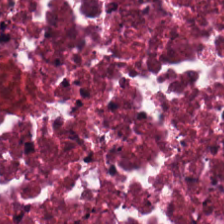FFPE; hematoxylin-and-eosin stained section.
Q: What tissue type is shown here?
A: The field shows cellular debris.
